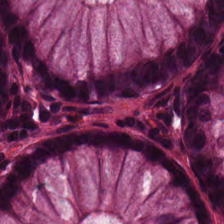Stain: H&E.
Tissue: benign colonic mucosa.
